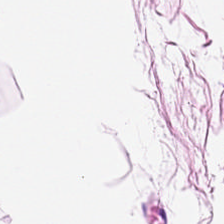H&E stain.
{"tissue_type": "fat tissue"}
